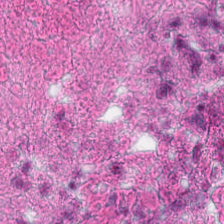0.5 µm per pixel · hematoxylin-and-eosin stained section.
Predominantly debris.
